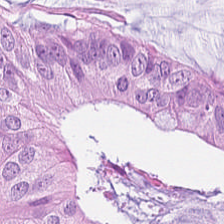20× equivalent magnification; hematoxylin-and-eosin stained section; WSI patch.
Predominant tissue — malignant epithelium.
